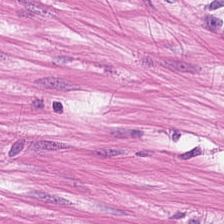Hematoxylin and eosin; 20× equivalent magnification — Finding → smooth-muscle tissue.
